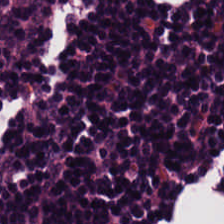H&E stain. This field is lymphocytic infiltrate.
